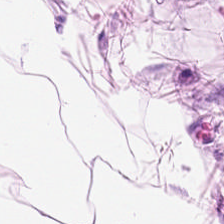Stain: hematoxylin-and-eosin stained section.
Tissue class: fat tissue.
